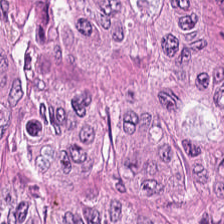Hematoxylin-and-eosin stained section — The tissue is tumor epithelium.
